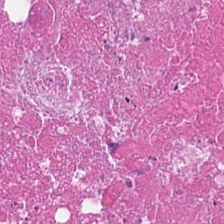Hematoxylin and eosin. Tissue type: debris.
